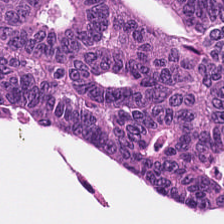Stain: hematoxylin-and-eosin stained section.
Preparation: formalin-fixed paraffin-embedded section.
Tissue type: colorectal adenocarcinoma epithelium.
